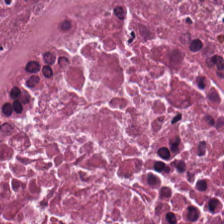Hematoxylin and eosin; 224×224 px patch. Q: What does this patch show?
A: This is debris.
